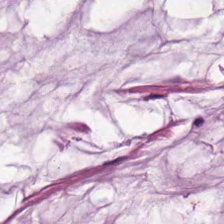H&E-stained tissue section. 20× equivalent magnification. This patch shows mucin.
